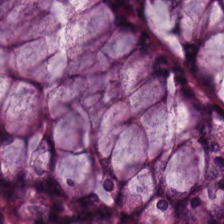Hematoxylin and eosin. The predominant tissue is normal colonic mucosa.
